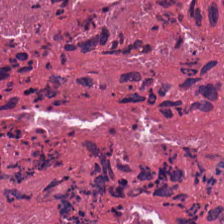H&E stain. Predominant tissue = necrotic debris.
